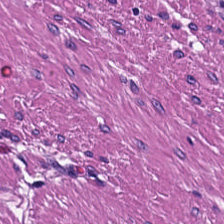Q: What tissue type is shown here?
A: This is smooth-muscle tissue.
